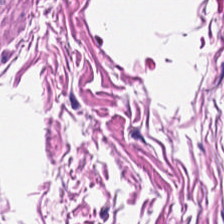H&E stain; 20× equivalent magnification. Tissue — smooth muscle.
